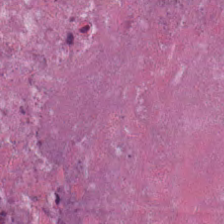Stain: H&E stain.
Tissue: debris.
